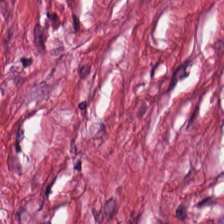Q: Identify the tissue.
A: This is cancer-associated stroma.
